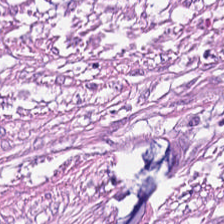Hematoxylin-and-eosin stained section. 224×224 px patch — Impression → desmoplastic stroma.
